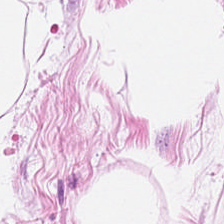20× equivalent magnification · 224×224 px patch · H&E stain.
Classification — adipose.
